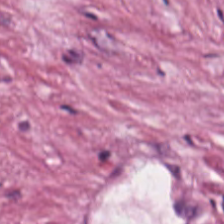Whole-slide-image patch. H&E-stained tissue section. Q: Classify this patch.
A: It is cancer-associated stroma.
